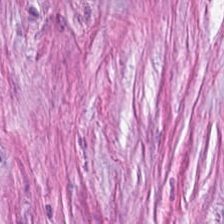Hematoxylin-and-eosin stained section · formalin-fixed paraffin-embedded section. Tissue class: desmoplastic stroma.
